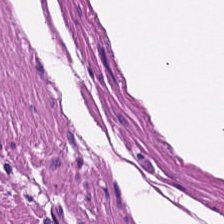H&E-stained tissue section showing smooth muscle.
